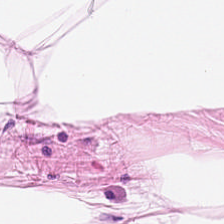0.5 µm/px. H&E — Predominant tissue = fat tissue.
